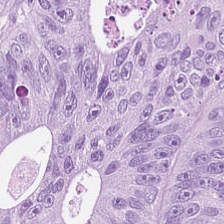Hematoxylin-and-eosin section: colorectal adenocarcinoma.
